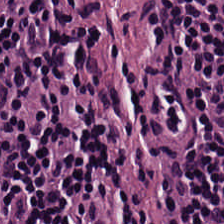H&E-stained tissue section — This field is lymphoid infiltrate.
